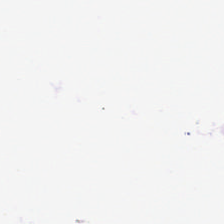H&E stain — Classification — background.
